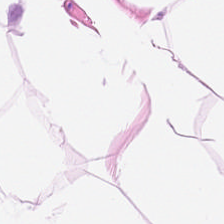Adipose tissue.
